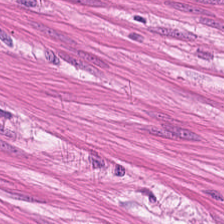This field is smooth-muscle tissue.
